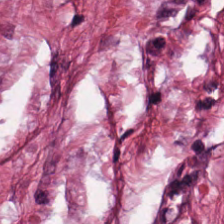Hematoxylin and eosin · 224×224 pixel tile.
This field is tumor-associated stroma.
